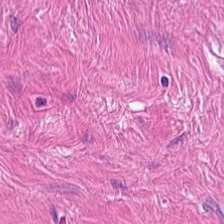224×224 pixel tile; 0.5 microns per pixel; H&E-stained tissue section. Smooth-muscle tissue.
